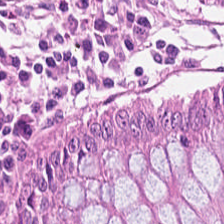Hematoxylin and eosin — Q: What tissue is shown?
A: It is non-neoplastic colon mucosa.
